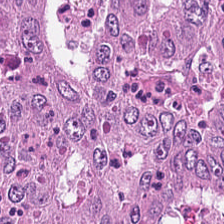H&E-stained tissue section.
This field is colorectal adenocarcinoma.
